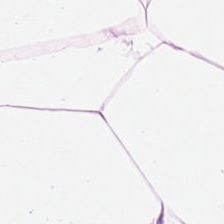H&E. Adipose tissue.
